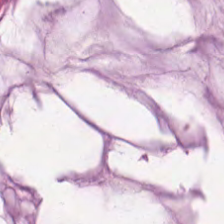Q: What tissue type is shown here?
A: The field shows mucin.
